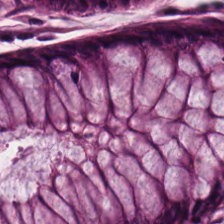Hematoxylin and eosin.
{"tissue_type": "normal colonic mucosa"}
